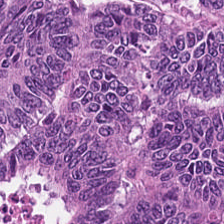Hematoxylin-and-eosin stained section.
Tissue class = malignant epithelium.
